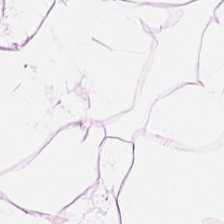Whole-slide-image patch · H&E stain — Predominantly adipocytes.
